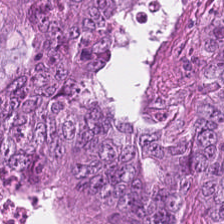224×224 px tile. Hematoxylin-and-eosin stained section.
Q: What is shown in this field?
A: Colorectal adenocarcinoma epithelium.
